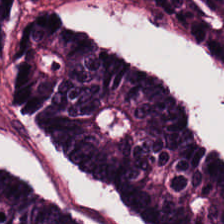Stain: H&E.
Tissue: colorectal adenocarcinoma.
